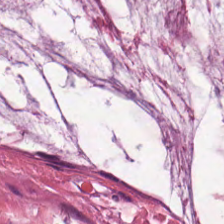H&E stain — The tissue here is mucin.
